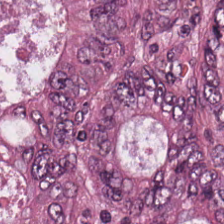224×224 pixel tile; H&E stain — Showing colorectal adenocarcinoma epithelium.
